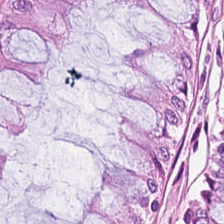H&E-stained tissue section.
Impression — normal colonic mucosa.
